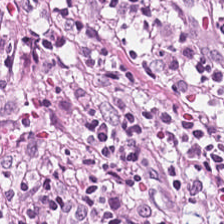Stain: H&E-stained tissue section.
Classification: tumor stroma.
